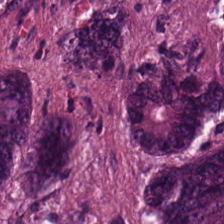Brightfield · H&E-stained tissue section · formalin-fixed paraffin-embedded section. {"tissue_type": "malignant epithelium"}
